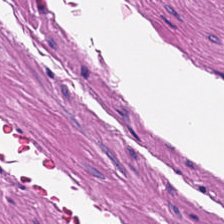224×224 px patch · 0.5 µm/px · H&E stain. Smooth-muscle tissue.
